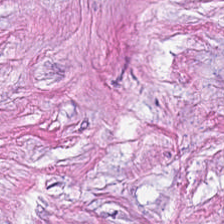Tissue class: tumor-associated stroma.
